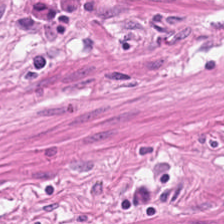H&E.
This patch shows muscularis.
